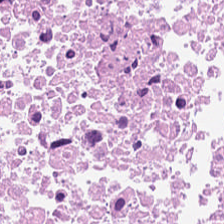H&E stain — The classification is necrotic debris.
